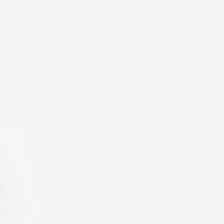H&E stain — Background (no tissue).
